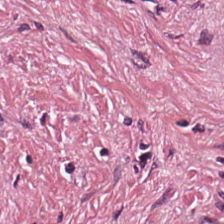H&E.
{"tissue_type": "tumor-associated stroma"}
